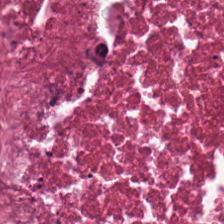H&E stain.
Q: What does this patch show?
A: The field shows debris.
